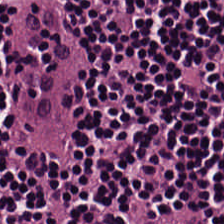Hematoxylin-and-eosin stained section.
This field is lymphoid infiltrate.
